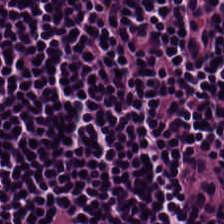Histology — lymphocyte aggregate.
